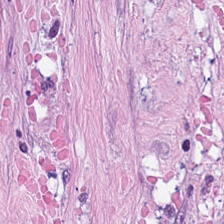The predominant tissue is cancer-associated stroma.
